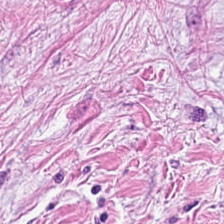Hematoxylin-and-eosin stained section. WSI patch. This field is cancer-associated stroma.
